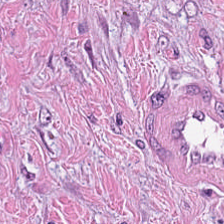H&E stain — {"tissue_type": "tumor stroma"}
